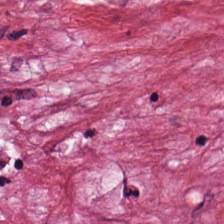H&E stain. Brightfield. {"tissue_type": "desmoplastic stroma"}
